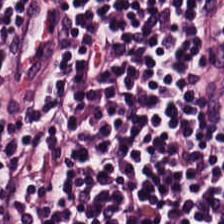Hematoxylin and eosin. Tissue = lymphocytes.
